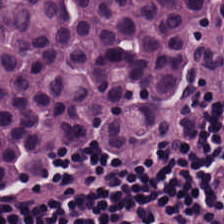Hematoxylin-and-eosin stained section; whole-slide-image patch — {"tissue_type": "lymphocytic infiltrate"}
